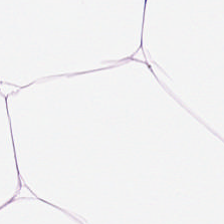Hematoxylin and eosin.
The tissue class is adipose.
